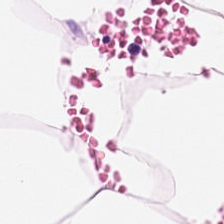Stain: hematoxylin and eosin.
Tissue: adipose tissue.
